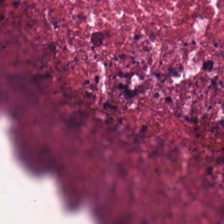Stain: hematoxylin-and-eosin stained section.
Acquisition: brightfield microscopy.
Tissue class: debris.
